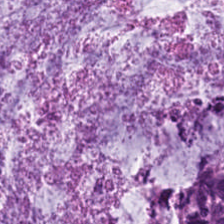Hematoxylin-and-eosin stained section. This patch shows mucin.
